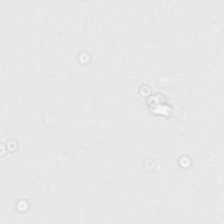Hematoxylin-and-eosin stained section — This field is background (no tissue).
